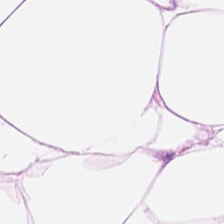This field is adipocytes.
